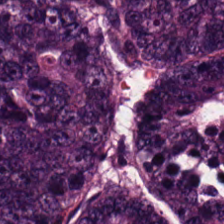FFPE tissue section. H&E stain.
Q: What is shown here?
A: It is colorectal adenocarcinoma epithelium.
